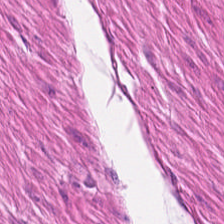H&E · formalin-fixed paraffin-embedded section.
Predominantly smooth-muscle tissue.
